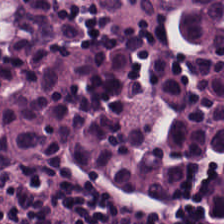H&E. FFPE tissue section — The tissue here is lymphoid infiltrate.
